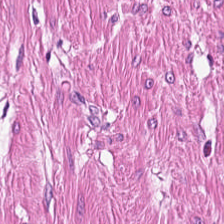Hematoxylin-and-eosin stained section · FFPE · 224×224 pixel tile.
This field is smooth muscle.
